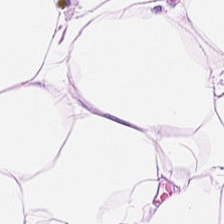Hematoxylin-and-eosin stained section · brightfield · 0.5 µm per pixel — Predominant tissue = adipose.
